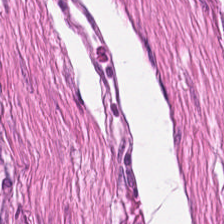0.5 µm/px; hematoxylin and eosin; WSI patch. Impression → smooth muscle.
